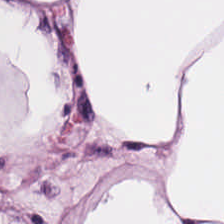224×224 px patch; hematoxylin and eosin.
Adipocytes.
